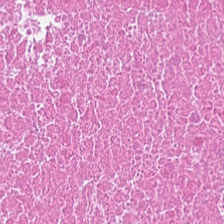224×224 px patch · H&E stain.
Classification — cellular debris.
